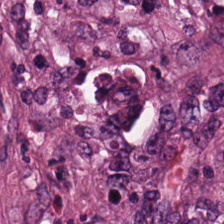Q: What is shown here?
A: This is desmoplastic stroma.
